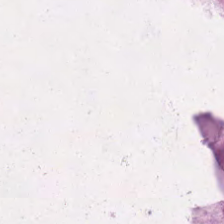Stain: hematoxylin-and-eosin stained section.
Resolution: 0.5 µm per pixel.
Classification: extracellular mucin.
